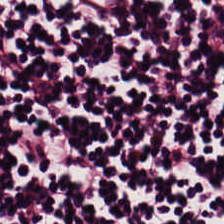224×224 pixel tile; FFPE tissue section; hematoxylin and eosin — Q: What type of tissue is this?
A: This is lymphoid infiltrate.
